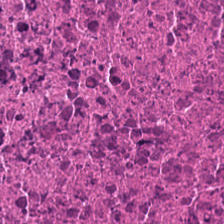Hematoxylin-and-eosin stained section. The tissue here is cellular debris.
